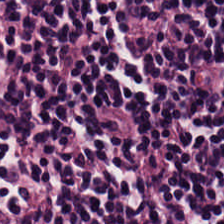224×224 pixel tile. H&E-stained tissue section.
Q: Identify the tissue.
A: Lymphocytic infiltrate.
